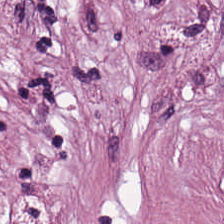Formalin-fixed paraffin-embedded section; H&E stain. The predominant tissue is tumor stroma.
